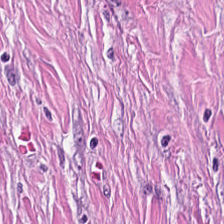0.5 microns per pixel; H&E. The tissue here is tumor stroma.
